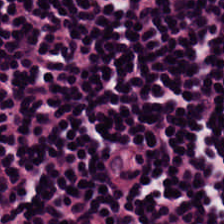H&E; whole-slide-image patch.
The tissue here is lymphoid infiltrate.
